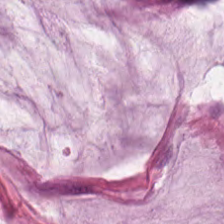Tissue class — extracellular mucin.
